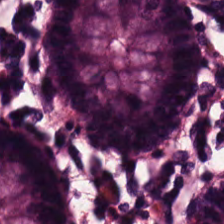Hematoxylin and eosin. Showing benign colonic mucosa.
